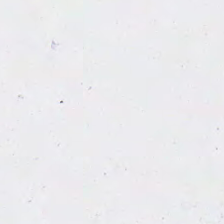H&E-stained tissue section — Background (no tissue).
